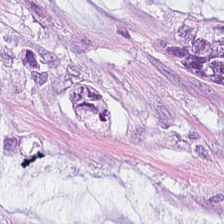FFPE tissue section; H&E stain; brightfield — Q: Identify the tissue.
A: Mucin.
